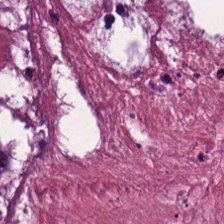Q: Identify the tissue.
A: It is debris.
